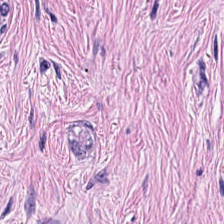H&E. The tissue here is tumor-associated stroma.
